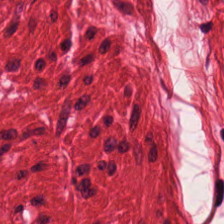Hematoxylin and eosin. 224×224 px tile. WSI patch — The tissue type is muscularis.
